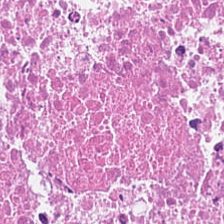H&E stain — Q: Classify this patch.
A: Cellular debris.
